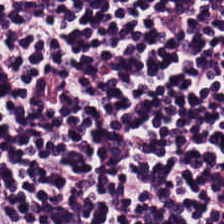FFPE; H&E — This patch shows lymphoid infiltrate.
